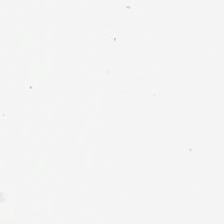FFPE; hematoxylin and eosin.
Empty field — background (no tissue).
